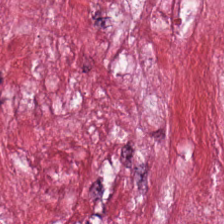Showing tumor-associated stroma.
